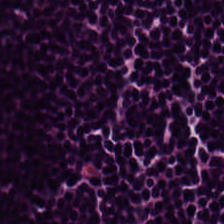Formalin-fixed paraffin-embedded section; hematoxylin-and-eosin stained section. Predominantly lymphoid infiltrate.
